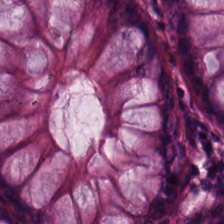Hematoxylin and eosin. Q: What does this patch show?
A: The field shows normal colonic mucosa.
